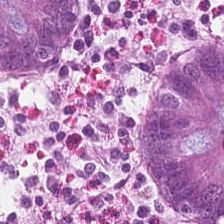Tissue — benign colonic mucosa.
